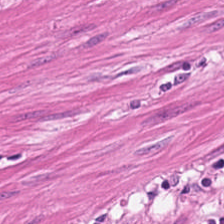H&E stain. FFPE tissue section. Whole-slide-image patch. This patch shows smooth-muscle tissue.
